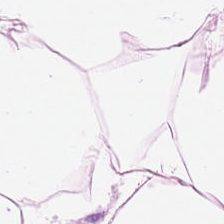Hematoxylin-and-eosin stained section. The predominant tissue is adipocytes.
